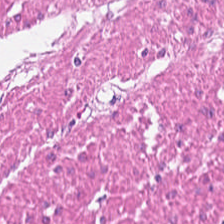Hematoxylin and eosin · 0.5 µm per pixel. Predominant tissue — smooth-muscle tissue.
